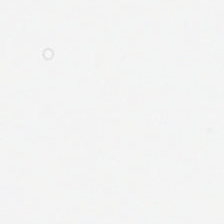H&E-stained tissue section — This patch shows background (no tissue).
